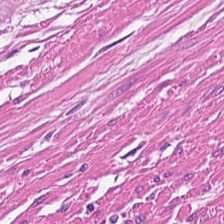H&E stain · WSI patch. Histology → smooth-muscle tissue.
